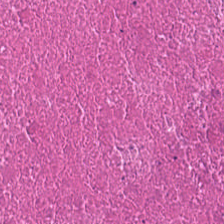Brightfield microscopy. H&E-stained tissue section. The tissue is cellular debris.
